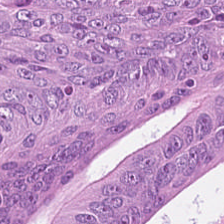Stain: H&E stain.
Classification: colorectal adenocarcinoma.
